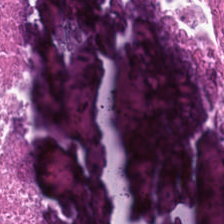FFPE; H&E-stained tissue section — Predominantly debris.
